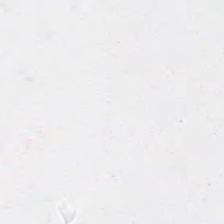Hematoxylin and eosin · 0.5 µm/px · WSI patch — Content — background.
